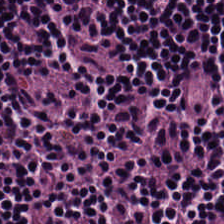Hematoxylin and eosin · brightfield microscopy. Finding → lymphoid infiltrate.
